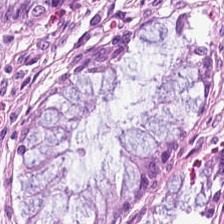H&E. Q: Classify this patch.
A: It is benign colonic mucosa.
